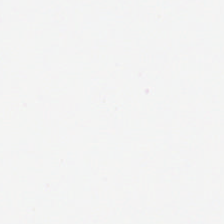No tissue present; background only.
